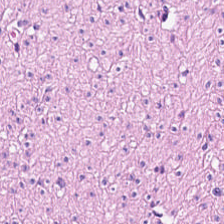This patch shows smooth muscle.
